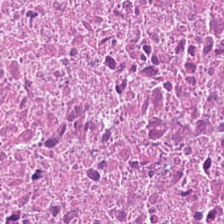H&E. WSI patch. Classification — debris.
